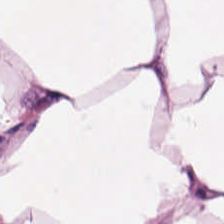224×224 px tile; hematoxylin-and-eosin stained section — Q: What is shown here?
A: Adipose.
